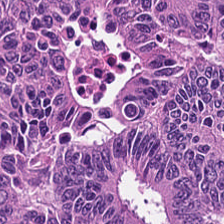Hematoxylin and eosin. Q: What is shown in this field?
A: It is adenocarcinoma.
